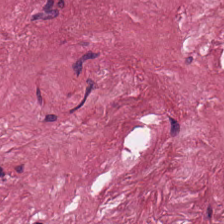Brightfield microscopy. Hematoxylin and eosin. 0.5 µm/px. Histology → cancer-associated stroma.
